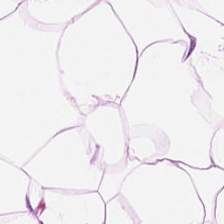H&E. Impression — adipose.
